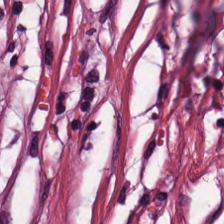Tissue class = tumor stroma.
